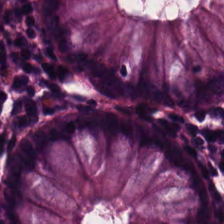H&E stain — The tissue type is normal colonic mucosa.
